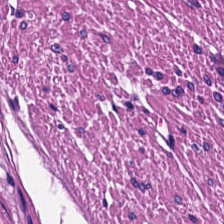H&E stain — Predominantly smooth-muscle tissue.
